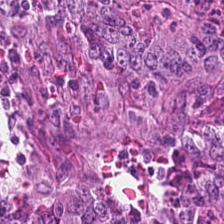Hematoxylin-and-eosin stained section. Whole-slide-image patch.
Q: What tissue type is shown here?
A: This is tumor epithelium.
